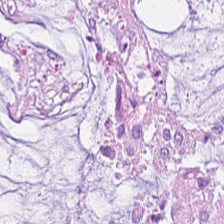Hematoxylin and eosin — Predominantly mucus.
